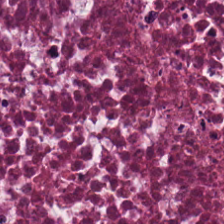0.5 µm/px. H&E. Impression — debris.
